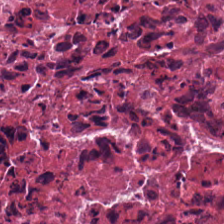Hematoxylin-and-eosin stained section.
The predominant tissue is cellular debris.
